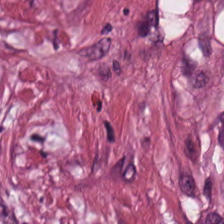The tissue here is cancer-associated stroma.
